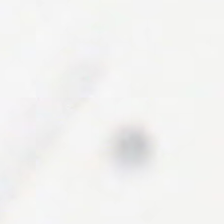Hematoxylin-and-eosin stained section. FFPE tissue section. Finding → background.
